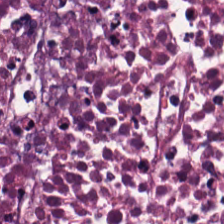H&E.
This patch shows necrotic debris.
